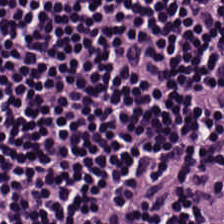H&E-stained tissue section. The predominant tissue is lymphocytic infiltrate.
